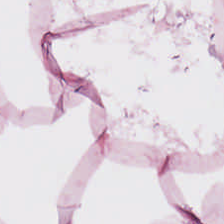H&E-stained tissue section. FFPE tissue section.
Showing adipose tissue.
